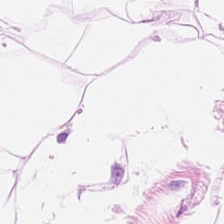Q: What is shown here?
A: It is fat tissue.
